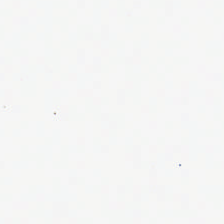H&E-stained tissue section. Content: background (no tissue).
